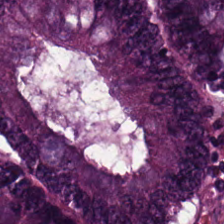H&E — adenocarcinoma.
